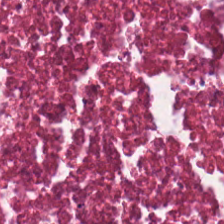Brightfield · H&E-stained tissue section · 224×224 px tile.
Showing debris.
